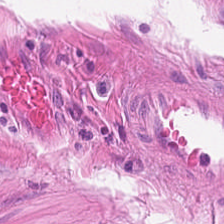Stain: H&E-stained tissue section.
Tile size: 224×224 px tile.
Classification: muscularis.
